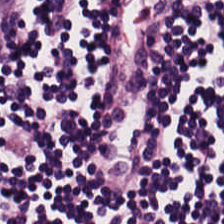H&E-stained tissue section. Tissue class: lymphocytic infiltrate.
